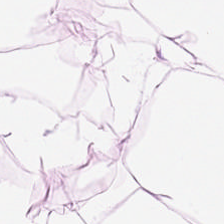Predominantly adipose tissue.
